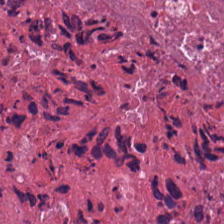H&E. Classification — cellular debris.
